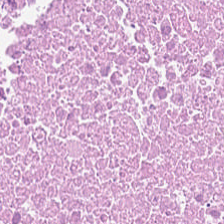H&E; 0.5 µm/px; FFPE — Tissue class = debris.
